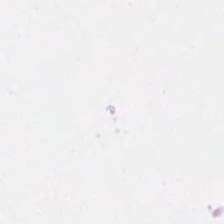0.5 microns per pixel · hematoxylin and eosin.
This patch shows background.
